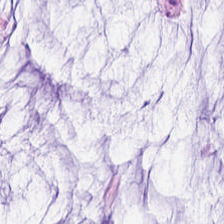Hematoxylin and eosin — Extracellular mucin.
